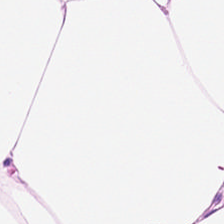H&E stain. Finding → adipose.
